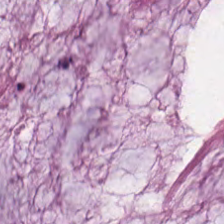Hematoxylin and eosin.
Q: Classify this patch.
A: The field shows mucin.
